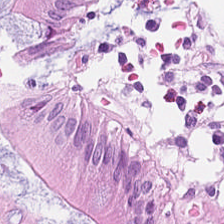Hematoxylin-and-eosin stained section — Predominantly normal colonic mucosa.
